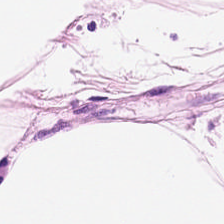H&E-stained tissue section.
Histology — fat tissue.
